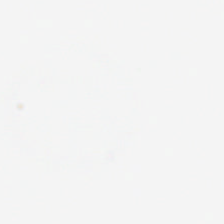Stain: H&E-stained tissue section.
Field content: background.
